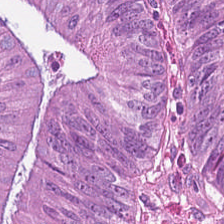Hematoxylin-and-eosin section: colorectal adenocarcinoma.
